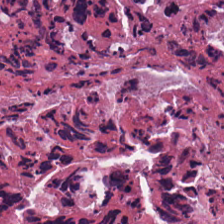Stain: H&E.
Acquisition: whole-slide-image patch.
Preparation: FFPE.
Predominant tissue: debris.
